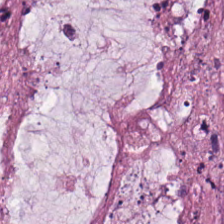Hematoxylin-and-eosin stained section — Q: What is shown in this field?
A: This is extracellular mucin.
